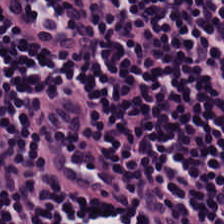Hematoxylin and eosin · 0.5 µm per pixel — The tissue here is lymphoid infiltrate.
